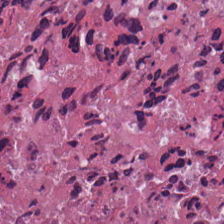Stain: H&E-stained tissue section.
Predominant tissue: debris.
